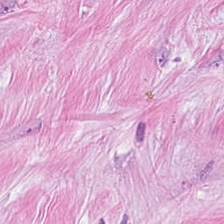Showing cancer-associated stroma.
